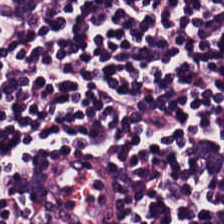Hematoxylin-and-eosin stained section. The tissue type is lymphoid infiltrate.
